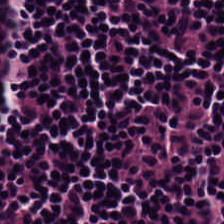Hematoxylin and eosin; 224×224 px tile.
Lymphocytes.
